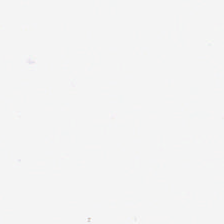224×224 px patch; hematoxylin-and-eosin stained section. Field content: no tissue.
